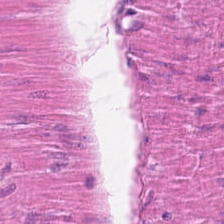0.5 microns per pixel. Hematoxylin-and-eosin stained section — Q: Identify the tissue.
A: It is muscularis.
